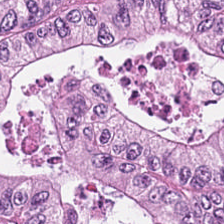Hematoxylin-and-eosin stained section. Brightfield. FFPE. This field is tumor epithelium.
